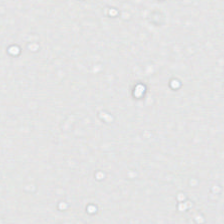No tissue present; background only.
